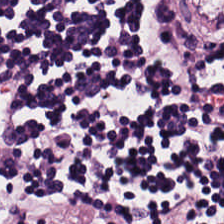Hematoxylin and eosin.
The classification is lymphoid infiltrate.
